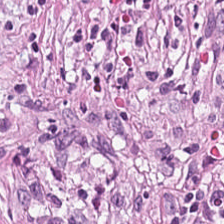224×224 pixel tile. Hematoxylin and eosin. WSI patch — The tissue type is tumor stroma.
